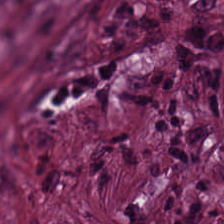Stain: H&E stain.
Acquisition: brightfield.
Tissue: tumor stroma.
